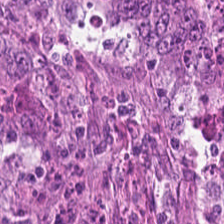H&E-stained tissue section — Predominant tissue — colorectal adenocarcinoma.
